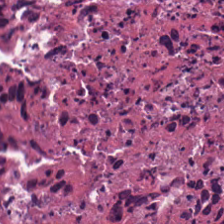Q: What is the predominant tissue type?
A: Necrotic debris.
